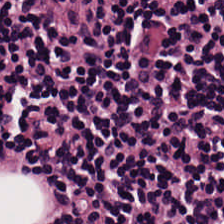Hematoxylin-and-eosin stained section · WSI patch.
Q: What is shown in this field?
A: The field shows lymphoid infiltrate.
